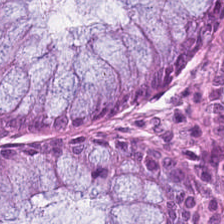H&E-stained tissue section.
Impression — non-neoplastic colon mucosa.
